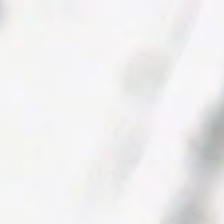Stain: H&E-stained tissue section.
Classification: no tissue.
